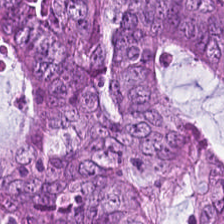Whole-slide-image patch · H&E-stained tissue section — Histology → tumor epithelium.
